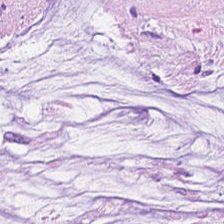Stain: hematoxylin-and-eosin stained section.
Tissue type: mucus.
